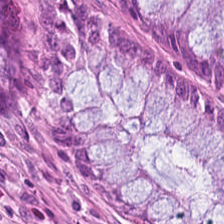H&E stain.
Non-neoplastic colon mucosa.
